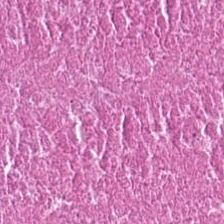Q: What type of tissue is this?
A: This is necrotic debris.
